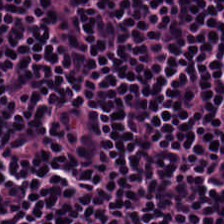Hematoxylin-and-eosin stained section. Tissue class = lymphocytic infiltrate.
